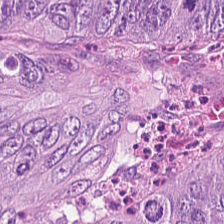Hematoxylin-and-eosin section: malignant epithelium.
